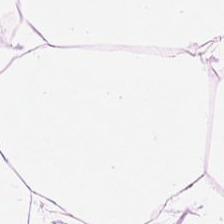Hematoxylin-and-eosin stained section — Predominant tissue = fat tissue.
